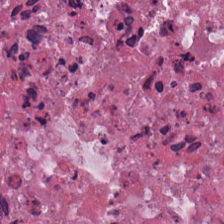Hematoxylin-and-eosin stained section.
Predominantly debris.
